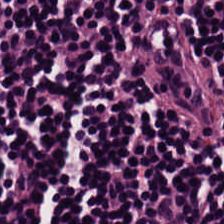Classification — lymphocytic infiltrate.
